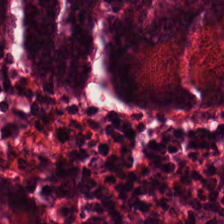Hematoxylin and eosin. Brightfield. Formalin-fixed paraffin-embedded section. Histology → benign colonic mucosa.
